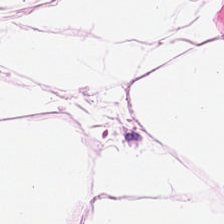0.5 µm per pixel. WSI patch. Hematoxylin-and-eosin stained section.
Q: What is shown here?
A: Adipocytes.
